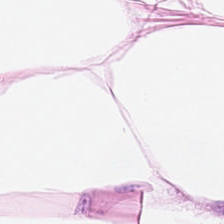H&E stain — Q: What is shown here?
A: Fat tissue.
